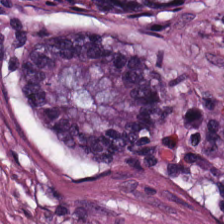Stain: H&E-stained tissue section.
Resolution: 0.5 µm/px.
Acquisition: WSI patch.
Classification: non-neoplastic colon mucosa.
